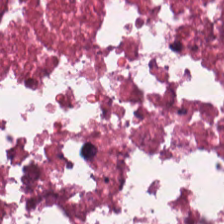H&E · 224×224 px patch — The predominant tissue is debris.
